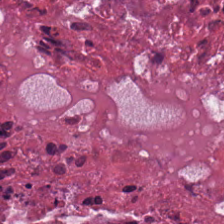Hematoxylin-and-eosin stained section.
This patch shows debris.
